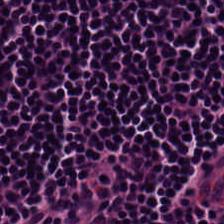H&E-stained tissue section. 0.5 µm per pixel.
This field is lymphocytes.
